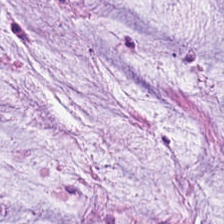Q: What type of tissue is this?
A: The field shows mucin.
